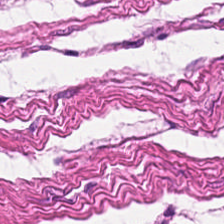H&E stain · 20× equivalent magnification.
This field is smooth muscle.
